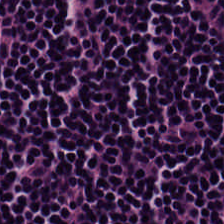FFPE tissue section; hematoxylin and eosin. Predominantly lymphocytes.
